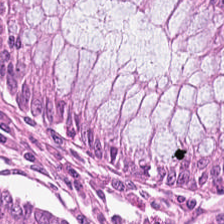0.5 µm per pixel; H&E; 224×224 px patch — Impression → normal colon mucosa.
